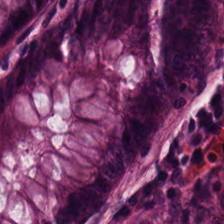H&E — {"tissue_type": "normal colon mucosa"}
